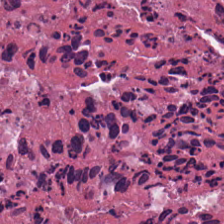Brightfield. FFPE tissue section. Hematoxylin-and-eosin stained section.
Predominant tissue: cellular debris.
